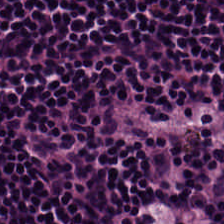Hematoxylin-and-eosin stained section. Predominantly lymphocytic infiltrate.
